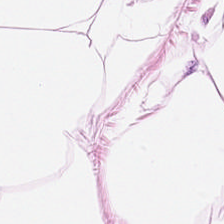H&E stain. Predominant tissue: fat tissue.
